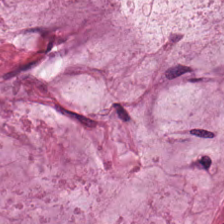H&E-stained tissue section. Q: What type of tissue is this?
A: This is mucus.
